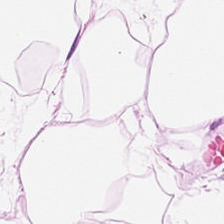H&E stain.
Tissue type: adipose.
